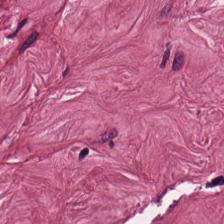Formalin-fixed paraffin-embedded section. Hematoxylin-and-eosin stained section.
Showing tumor-associated stroma.
